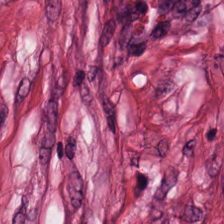The predominant tissue is cancer-associated stroma.
